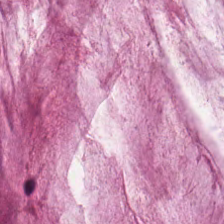Stain: H&E-stained tissue section.
Classification: mucus.
